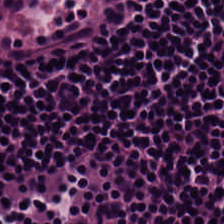Whole-slide-image patch. H&E-stained tissue section — Tissue — lymphocyte aggregate.
